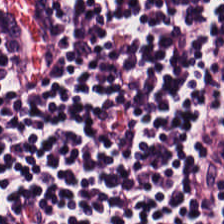Hematoxylin-and-eosin stained section; FFPE tissue section. This field is lymphocytes.
